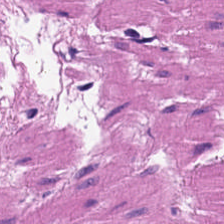Stain: H&E stain.
Tissue: smooth-muscle tissue.
